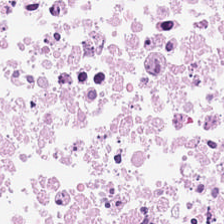Formalin-fixed paraffin-embedded section; H&E. Tissue class = necrotic debris.
